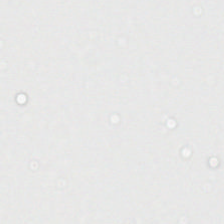H&E-stained tissue section. {"content": "empty background"}
